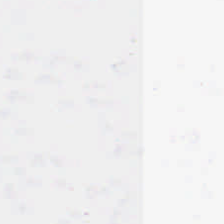0.5 microns per pixel · hematoxylin-and-eosin stained section — Empty background.
